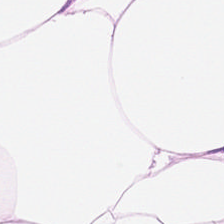Q: What is shown here?
A: Adipose tissue.
